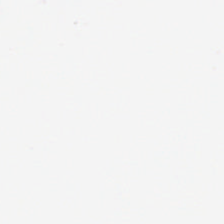No tissue.
